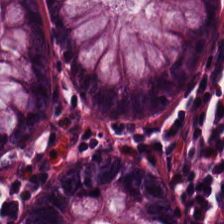Stain: hematoxylin and eosin.
Preparation: FFPE tissue section.
Resolution: 20× equivalent magnification.
Tissue type: benign colonic mucosa.
